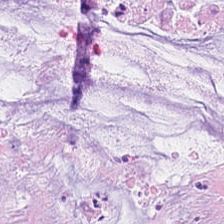Hematoxylin and eosin.
Q: Classify this patch.
A: This is mucin.
